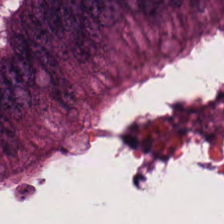H&E.
Predominant tissue — malignant epithelium.
